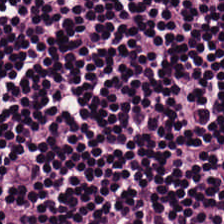Hematoxylin and eosin. The predominant tissue is lymphocyte aggregate.
